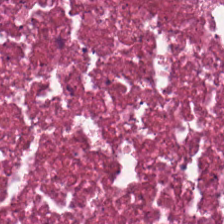The tissue here is necrotic debris.
